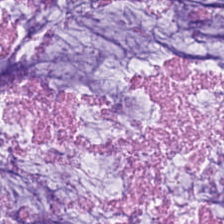FFPE tissue section. Hematoxylin-and-eosin stained section — Mucin.
